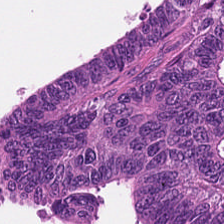Hematoxylin and eosin. Tissue class — tumor epithelium.
